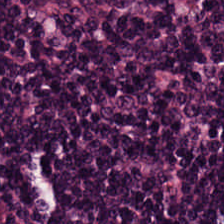Hematoxylin-and-eosin stained section; 224×224 px patch.
Q: What does this patch show?
A: The field shows lymphocytic infiltrate.
